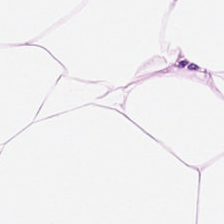H&E stain · 20× equivalent magnification — Tissue class — adipocytes.
